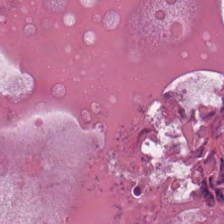Hematoxylin-and-eosin stained section.
Finding → cellular debris.
